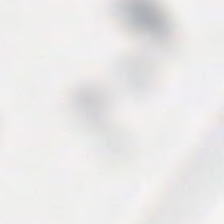H&E stain — No tissue present; background only.
